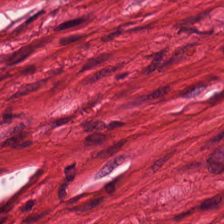Hematoxylin and eosin — Histology — muscularis.
